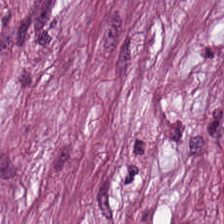H&E — Predominantly tumor-associated stroma.
